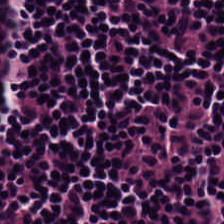Whole-slide-image patch. H&E-stained tissue section. Formalin-fixed paraffin-embedded section. The tissue here is lymphocytic infiltrate.
